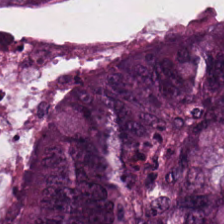Hematoxylin and eosin — Showing tumor epithelium.
